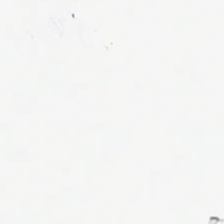H&E stain.
Q: What does this patch show?
A: It is background.
